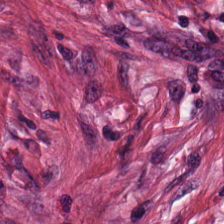FFPE tissue section. H&E stain. Showing desmoplastic stroma.
